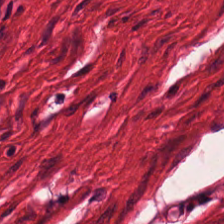Hematoxylin and eosin — Q: What does this patch show?
A: The field shows smooth muscle.
